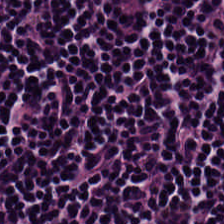{"tissue_type": "lymphocytic infiltrate"}
